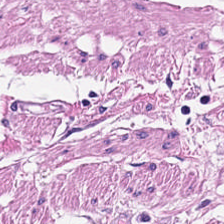H&E. Q: What is the predominant tissue type?
A: This is muscularis.
